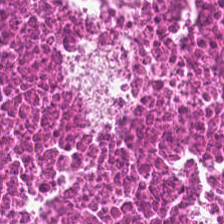Hematoxylin and eosin — The classification is necrotic debris.
